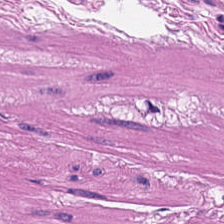224×224 px patch · H&E stain — Q: What is shown in this field?
A: Muscularis.
